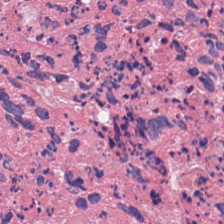H&E stain — Tissue class = debris.
